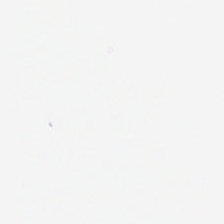H&E stain · FFPE. Content: empty background.
